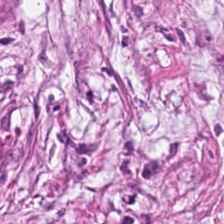Q: Classify this patch.
A: It is tumor stroma.
